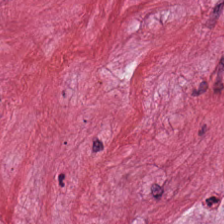H&E stain. Q: What tissue type is shown here?
A: It is tumor stroma.
